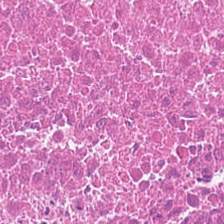H&E-stained tissue section — Debris.
